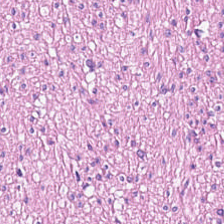H&E-stained tissue section; 0.5 µm per pixel.
This patch shows smooth-muscle tissue.
